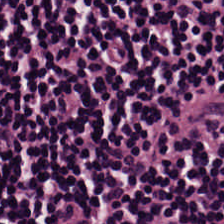The tissue is lymphocytes.
